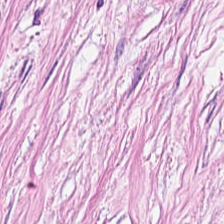H&E stain. Q: What type of tissue is this?
A: It is desmoplastic stroma.
